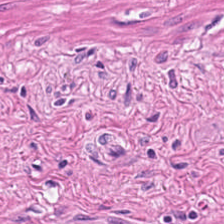224×224 px patch. H&E-stained tissue section.
Predominantly muscularis.
